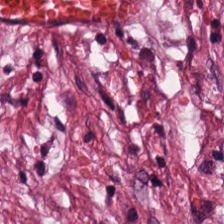Impression → cancer-associated stroma.
